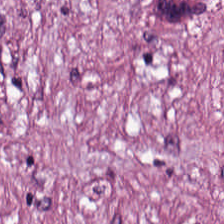Stain: H&E.
Tissue: cancer-associated stroma.
